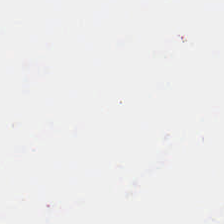Hematoxylin and eosin.
Background — no tissue in this field.
